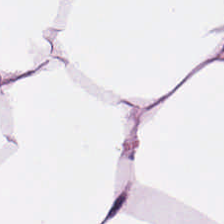H&E stain — Finding — adipose.
